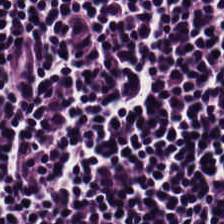Stain: hematoxylin and eosin.
Classification: lymphocytes.
